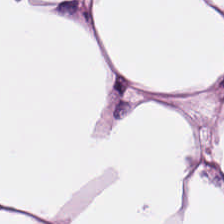Hematoxylin and eosin. Finding → adipose tissue.
